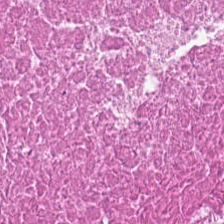Hematoxylin and eosin.
The predominant tissue is debris.
